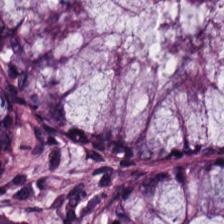224×224 px patch. Hematoxylin-and-eosin stained section — The predominant tissue is normal colonic mucosa.
